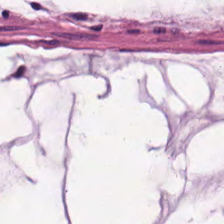Hematoxylin and eosin.
Q: What is the predominant tissue type?
A: Mucus.
